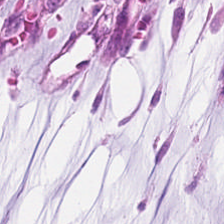H&E stain; 224×224 px patch; FFPE. Tissue type: extracellular mucin.
